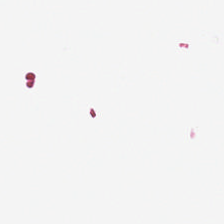H&E; 0.5 microns per pixel.
Histology — no tissue.
